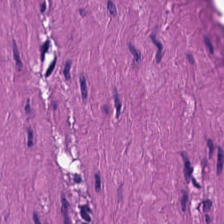Hematoxylin and eosin. The tissue here is smooth muscle.
